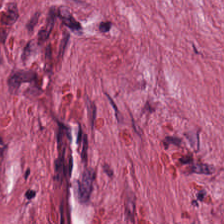FFPE; H&E stain.
Q: What is shown in this field?
A: It is desmoplastic stroma.
